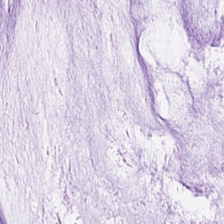Tissue — extracellular mucin.
